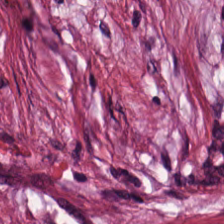Tissue type — desmoplastic stroma.
